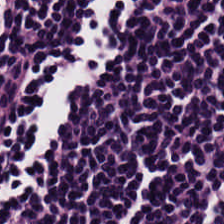Finding → lymphocyte aggregate.
